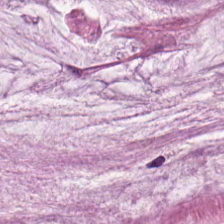H&E stain. Predominantly mucus.
